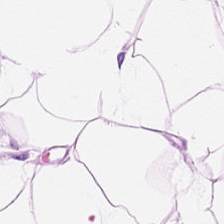Stain: H&E-stained tissue section.
Acquisition: brightfield microscopy.
Preparation: FFPE.
Predominant tissue: adipose tissue.
